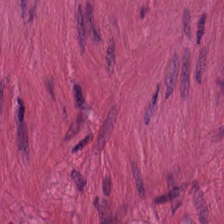FFPE. 224×224 px patch. H&E-stained tissue section — This field is muscularis.
